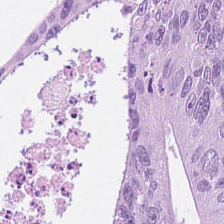Stain: H&E-stained tissue section.
Predominant tissue: malignant epithelium.
